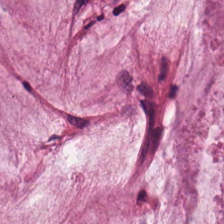H&E-stained tissue section · formalin-fixed paraffin-embedded section. This patch shows mucus.
